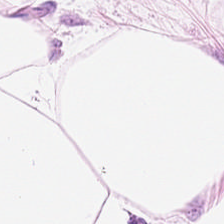224×224 pixel tile. Hematoxylin and eosin. Formalin-fixed paraffin-embedded section — Adipose tissue.
